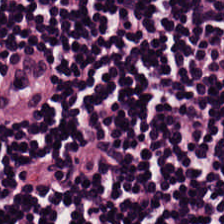FFPE; H&E stain; 0.5 microns per pixel.
Predominantly lymphocyte aggregate.
